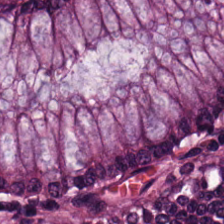Histology → normal colonic mucosa.
